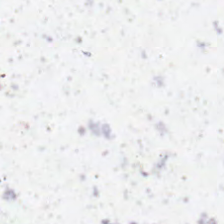Hematoxylin-and-eosin stained section.
The content is no tissue.
